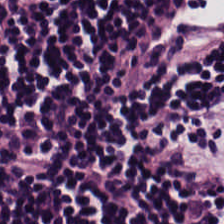Hematoxylin-and-eosin stained section — {"tissue_type": "lymphocytic infiltrate"}
